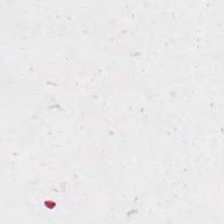H&E-stained tissue section. FFPE tissue section.
Background (no tissue).
